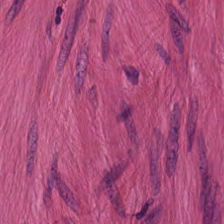H&E; brightfield. Predominantly smooth-muscle tissue.
